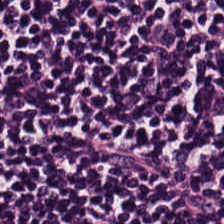Brightfield. H&E. 224×224 px tile.
{"tissue_type": "lymphocytes"}
